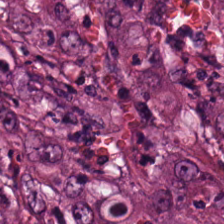H&E-stained tissue section. Q: What tissue type is shown here?
A: This is malignant epithelium.
